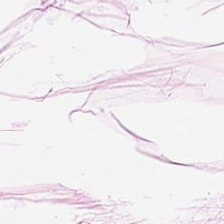FFPE. Hematoxylin and eosin. This field is adipose tissue.
